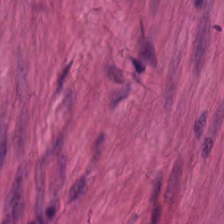Stain: hematoxylin and eosin.
Tissue: muscularis.
